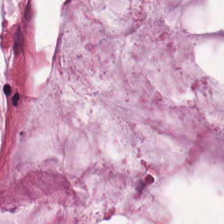Hematoxylin-and-eosin stained section.
Showing extracellular mucin.
